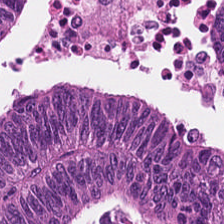Hematoxylin-and-eosin stained section. {"tissue_type": "malignant epithelium"}
